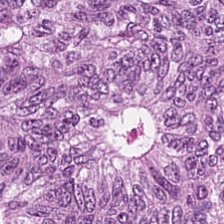Hematoxylin-and-eosin stained section. Formalin-fixed paraffin-embedded section.
Impression — malignant epithelium.
